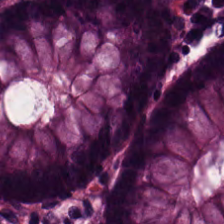{"tissue_type": "non-neoplastic colon mucosa"}
